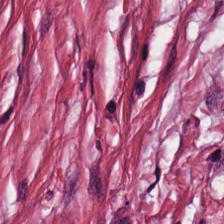Hematoxylin and eosin — This patch shows desmoplastic stroma.
